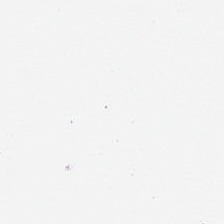Stain: H&E-stained tissue section.
Acquisition: WSI patch.
Field content: background.
